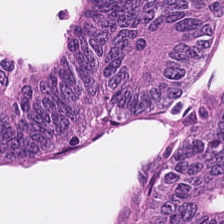Classification — malignant epithelium.
